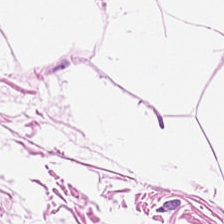H&E-stained tissue section — {"tissue_type": "adipose tissue"}
